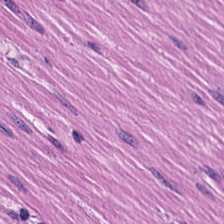H&E. Classification — smooth muscle.
